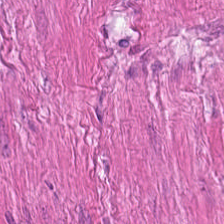H&E-stained tissue section. Tissue — smooth muscle.
